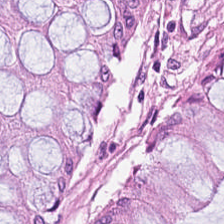Histology — non-neoplastic colon mucosa.
